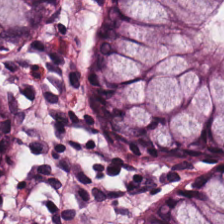Brightfield. H&E. Q: What is shown here?
A: It is normal colonic mucosa.
